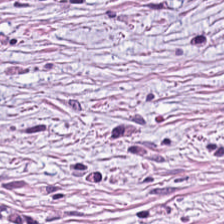H&E stain.
{"tissue_type": "tumor-associated stroma"}
